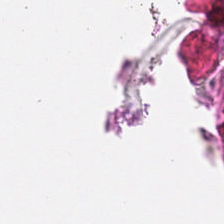224×224 pixel tile. Hematoxylin and eosin. Whole-slide-image patch — Q: What is shown here?
A: It is no tissue.
